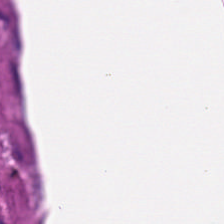FFPE · hematoxylin-and-eosin stained section · brightfield. The predominant tissue is muscularis.
